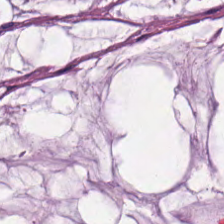Hematoxylin and eosin — {"tissue_type": "extracellular mucin"}
